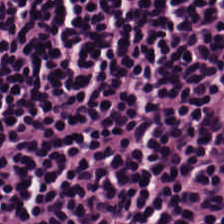FFPE tissue section · H&E · 224×224 px tile. Impression → lymphocytes.
